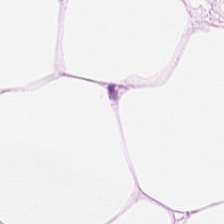H&E stain — Tissue type — fat tissue.
